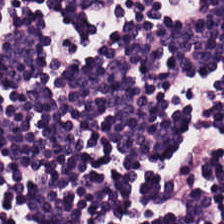Hematoxylin-and-eosin stained section. {"tissue_type": "lymphocytes"}
